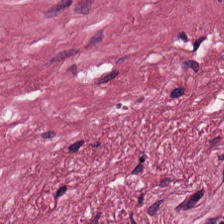H&E stain. Histology → tumor stroma.
